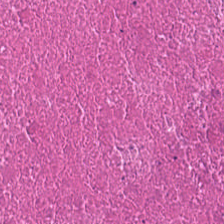H&E · 0.5 microns per pixel. Q: What is the predominant tissue type?
A: The field shows debris.
